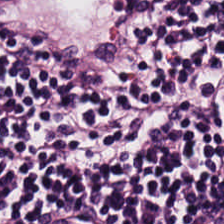The tissue here is lymphocyte aggregate.
